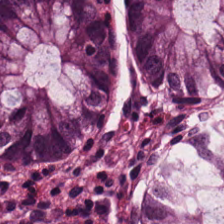0.5 microns per pixel · hematoxylin and eosin · formalin-fixed paraffin-embedded section. Finding — benign colonic mucosa.
